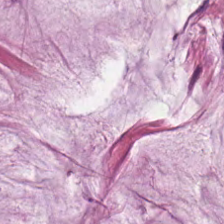H&E stain. Tissue class = mucus.
